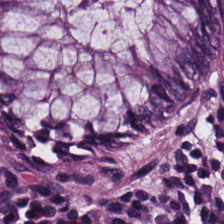Stain: hematoxylin-and-eosin stained section.
Tissue class: normal colonic mucosa.
